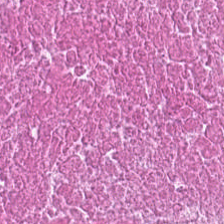H&E · FFPE.
This field is cellular debris.
